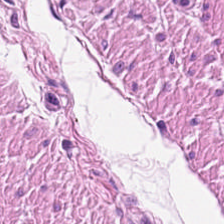224×224 px tile · H&E stain. Muscularis.
